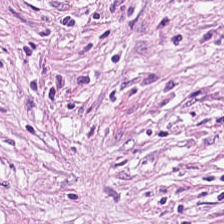0.5 microns per pixel; hematoxylin-and-eosin stained section. This patch shows tumor-associated stroma.
